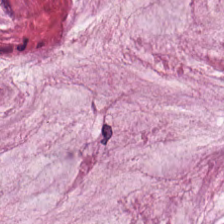{"tissue_type": "mucin"}
